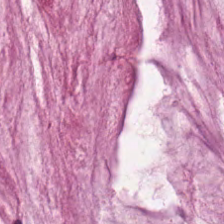H&E. Q: What is the predominant tissue type?
A: The field shows mucus.
